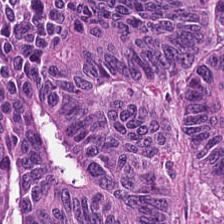Finding — colorectal adenocarcinoma epithelium.
